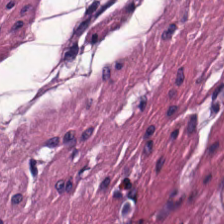Stain: H&E-stained tissue section.
Tissue type: smooth-muscle tissue.
